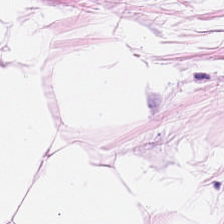FFPE tissue section · 224×224 pixel tile · hematoxylin-and-eosin stained section — Predominantly adipose tissue.
